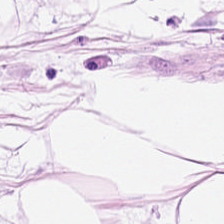Tissue = fat tissue.
